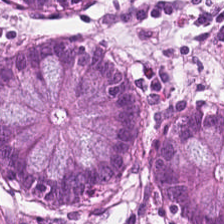Hematoxylin-and-eosin stained section; 0.5 µm per pixel; FFPE — Tissue type: benign colonic mucosa.
